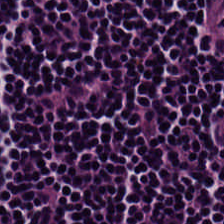Finding — lymphocyte aggregate.
